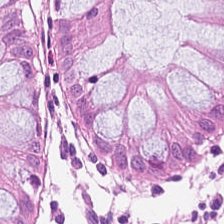Finding — normal colonic mucosa.
